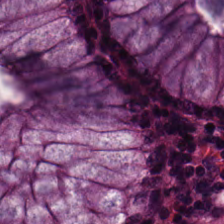H&E stain. Formalin-fixed paraffin-embedded section — Normal colon mucosa.
